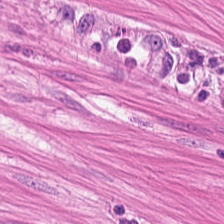This field is smooth muscle.
